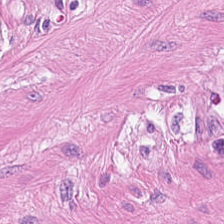Q: What is shown in this field?
A: The field shows muscularis.
